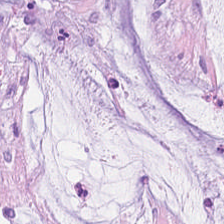H&E-stained tissue section · brightfield microscopy.
Predominantly mucin.
